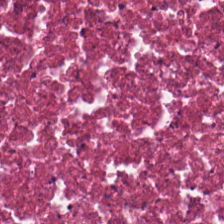WSI patch. H&E stain.
The predominant tissue is debris.
